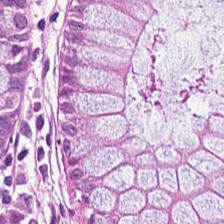Hematoxylin and eosin.
{"tissue_type": "non-neoplastic colon mucosa"}
